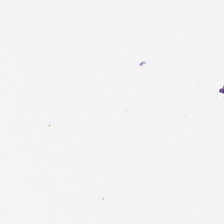H&E stain; FFPE tissue section — This field is background (no tissue).
